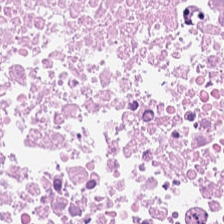Stain: hematoxylin and eosin.
Acquisition: whole-slide-image patch.
Tissue class: debris.
